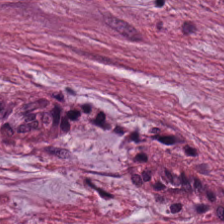Hematoxylin and eosin — Classification: cancer-associated stroma.
